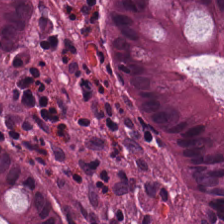Stain: H&E-stained tissue section.
Tile size: 224×224 px patch.
Classification: normal colonic mucosa.
